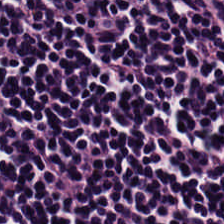Brightfield microscopy · 0.5 µm/px · hematoxylin and eosin — The tissue here is lymphocytic infiltrate.
